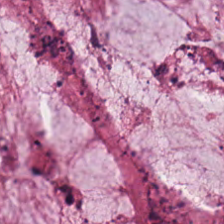FFPE tissue section; hematoxylin-and-eosin stained section; 0.5 microns per pixel. Q: What is shown in this field?
A: The field shows mucus.
